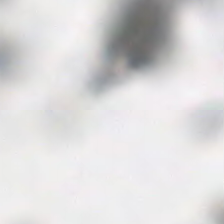Hematoxylin-and-eosin stained section. Whole-slide-image patch.
This field is background (no tissue).
